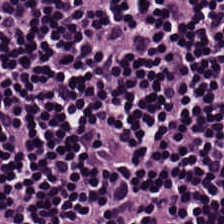Hematoxylin and eosin; 224×224 px tile — The predominant tissue is lymphocyte aggregate.
